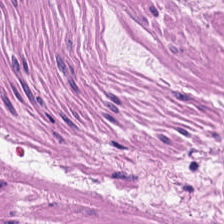Stain: hematoxylin and eosin.
Acquisition: brightfield.
Tissue: smooth muscle.
